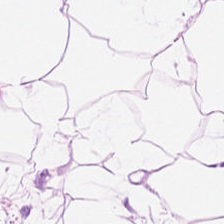Q: Classify this patch.
A: It is adipose tissue.
